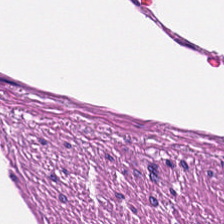224×224 px tile · H&E — {"tissue_type": "smooth-muscle tissue"}
